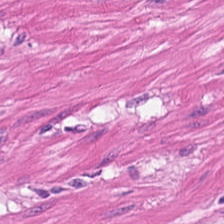Hematoxylin-and-eosin stained section. Q: What is the predominant tissue type?
A: Smooth-muscle tissue.
